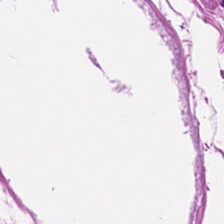Hematoxylin-and-eosin stained section. Finding — muscularis.
